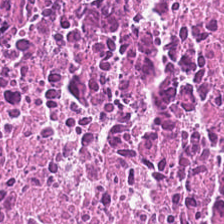Q: What tissue type is shown here?
A: The field shows necrotic debris.
